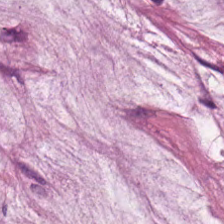H&E stain — The tissue here is mucin.
